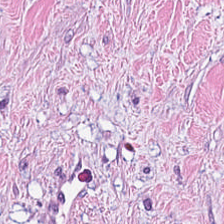H&E-stained tissue section. Tissue = tumor-associated stroma.
